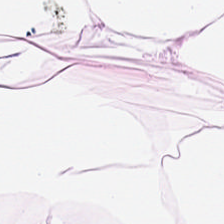H&E. 224×224 px tile. 0.5 µm per pixel — Q: What tissue type is shown here?
A: Adipose.
